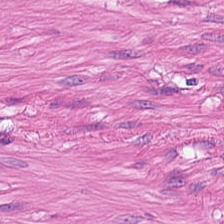Stain: H&E stain.
Tile size: 224×224 px tile.
Tissue type: smooth-muscle tissue.
